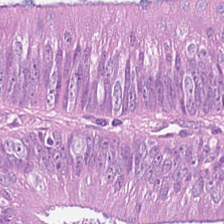H&E-stained tissue section. Q: What tissue is shown?
A: It is adenocarcinoma.
